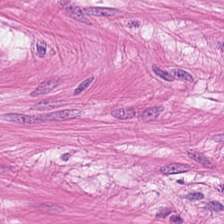Hematoxylin-and-eosin stained section. The tissue class is muscularis.
